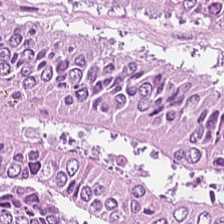Finding → tumor epithelium.
